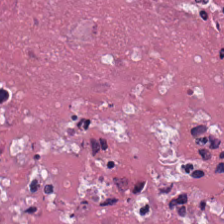Hematoxylin and eosin; brightfield.
Showing debris.
